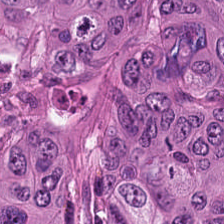Stain: H&E stain.
Resolution: 0.5 µm/px.
Preparation: formalin-fixed paraffin-embedded section.
Predominant tissue: malignant epithelium.
